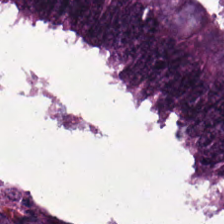H&E-stained tissue section. FFPE tissue section.
Predominant tissue — colorectal adenocarcinoma epithelium.
